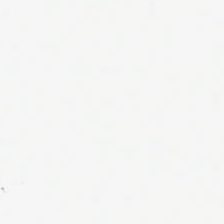H&E. Whole-slide-image patch. 224×224 px tile.
Empty field — no tissue.
